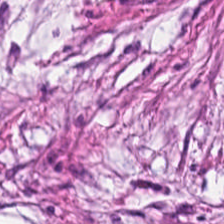Hematoxylin-and-eosin stained section; brightfield. The tissue here is tumor stroma.
